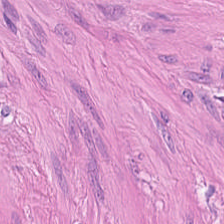Hematoxylin and eosin; 224×224 px patch. Classification = smooth muscle.
